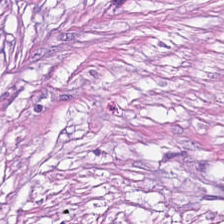Histology → tumor-associated stroma.
